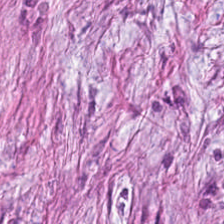FFPE tissue section · hematoxylin and eosin — {"tissue_type": "tumor-associated stroma"}
